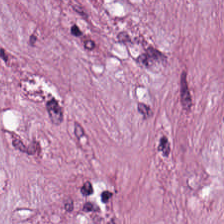H&E stain.
Tissue: tumor stroma.
